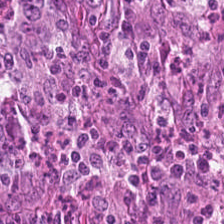224×224 pixel tile; FFPE tissue section; hematoxylin-and-eosin stained section.
Predominantly malignant epithelium.
